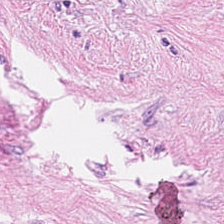H&E. Tissue class = tumor stroma.
